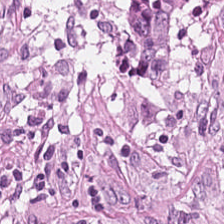H&E-stained tissue section — Cancer-associated stroma.
